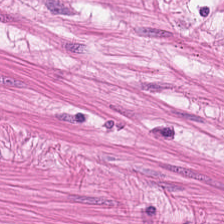H&E-stained tissue section.
Tissue — muscularis.
